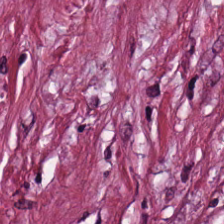FFPE tissue section · H&E.
Predominantly desmoplastic stroma.
